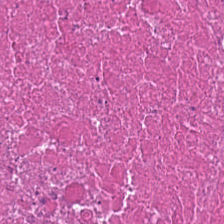Hematoxylin and eosin. Showing debris.
